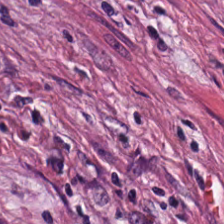Stain: hematoxylin and eosin.
Tile size: 224×224 px patch.
Predominant tissue: cancer-associated stroma.
